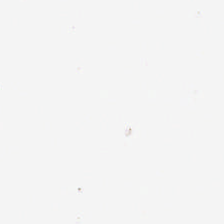Background — no tissue in this field.
